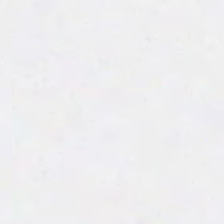Hematoxylin-and-eosin stained section. FFPE tissue section — Field content: background (no tissue).
